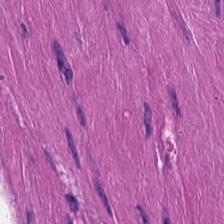WSI patch · H&E stain — Muscularis.
